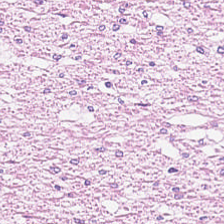20× equivalent magnification; H&E.
Q: What is shown here?
A: It is smooth muscle.
